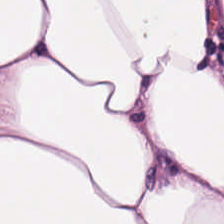224×224 px patch · H&E. Predominantly fat tissue.
